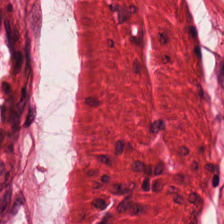H&E-stained tissue section · brightfield microscopy · FFPE tissue section. The tissue here is muscularis.
